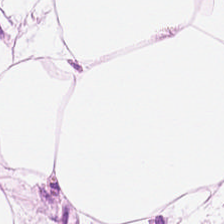Hematoxylin-and-eosin stained section. Fat tissue.
